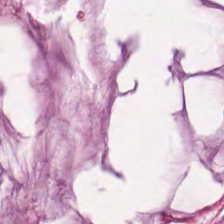H&E stain; brightfield microscopy.
Tissue class = mucin.
